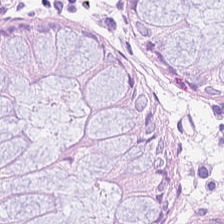Formalin-fixed paraffin-embedded section; hematoxylin-and-eosin stained section.
{"tissue_type": "non-neoplastic colon mucosa"}
